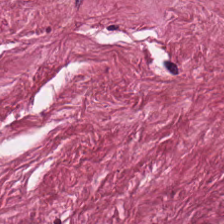Stain: hematoxylin and eosin.
Acquisition: brightfield.
Tissue: cancer-associated stroma.
